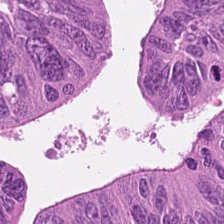Stain: H&E-stained tissue section.
Tissue: colorectal adenocarcinoma epithelium.
